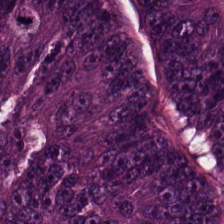H&E · 224×224 pixel tile — Predominant tissue: malignant epithelium.
